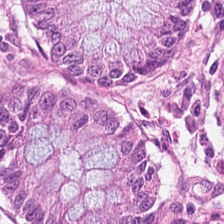Histology — benign colonic mucosa.
